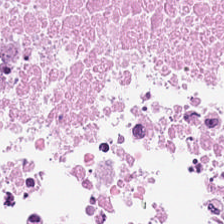H&E-stained tissue section. Histology → necrotic debris.
